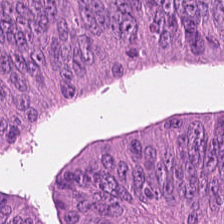Formalin-fixed paraffin-embedded section. Hematoxylin and eosin. 0.5 µm/px.
Predominant tissue = colorectal adenocarcinoma.
